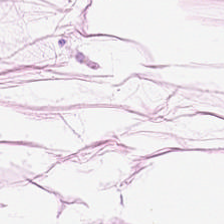Hematoxylin-and-eosin stained section. The predominant tissue is adipose.
